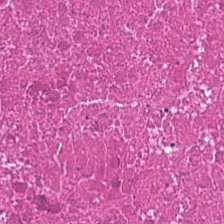Stain: hematoxylin-and-eosin stained section.
Preparation: FFPE.
Tissue: debris.
